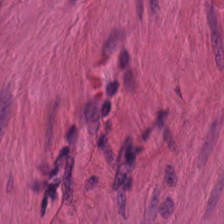H&E; 224×224 px patch — The classification is smooth-muscle tissue.
